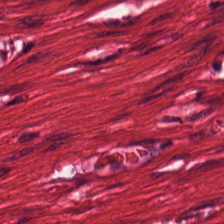0.5 µm/px. H&E. 224×224 px patch. This field is muscularis.
